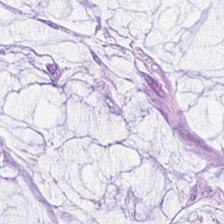Stain: hematoxylin and eosin.
Tissue class: extracellular mucin.
